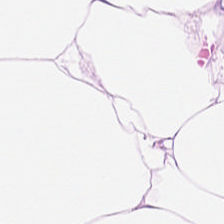Predominant tissue = adipocytes.
